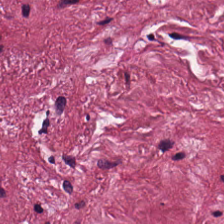H&E-stained tissue section.
Classification: tumor stroma.
